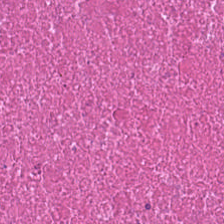Stain: H&E.
Preparation: FFPE.
Classification: cellular debris.
